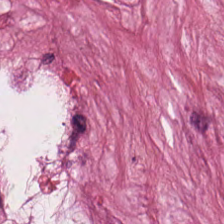Tissue — desmoplastic stroma.
